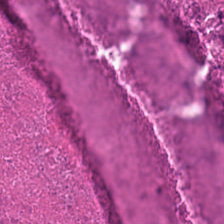FFPE. H&E stain. 0.5 µm per pixel. This patch shows cellular debris.
